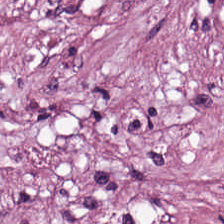Stain: hematoxylin and eosin.
Classification: cancer-associated stroma.
